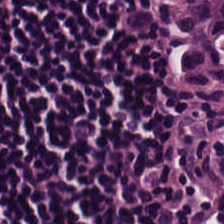224×224 px patch. Hematoxylin and eosin. 20× equivalent magnification. {"tissue_type": "lymphoid infiltrate"}
